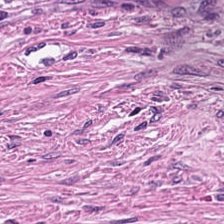Classification: tumor-associated stroma.
